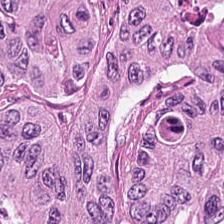H&E-stained tissue section. {"tissue_type": "adenocarcinoma"}
